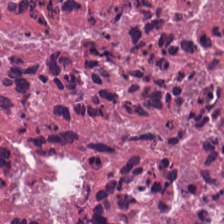Tissue type: necrotic debris.
